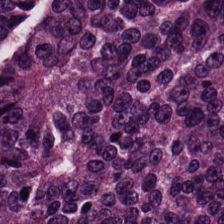Hematoxylin and eosin · FFPE. Q: What does this patch show?
A: The field shows malignant epithelium.
